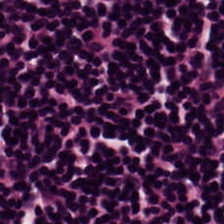H&E. Q: Classify this patch.
A: This is lymphocytic infiltrate.
